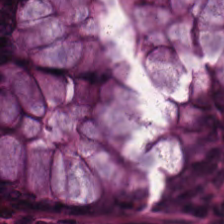Hematoxylin-and-eosin stained section. The predominant tissue is benign colonic mucosa.
